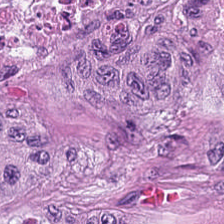Impression → tumor epithelium.
